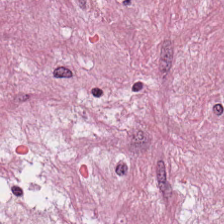Hematoxylin-and-eosin stained section — Impression — tumor stroma.
